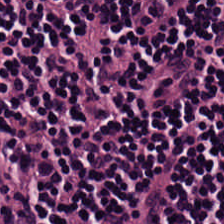Stain: H&E-stained tissue section.
Classification: lymphocyte aggregate.
